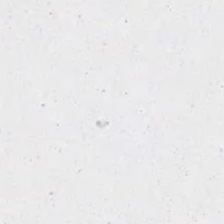Hematoxylin and eosin. 224×224 pixel tile — {"content": "background (no tissue)"}
